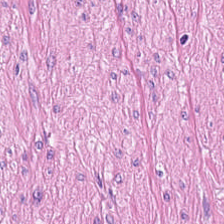224×224 px patch. Hematoxylin and eosin — Tissue class: smooth-muscle tissue.
